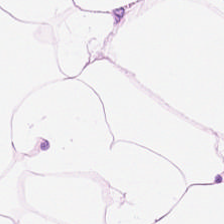H&E stain. This field is adipocytes.
